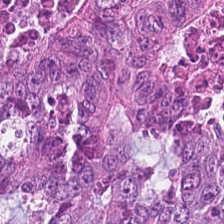0.5 µm per pixel · whole-slide-image patch · hematoxylin-and-eosin stained section. Q: What tissue is shown?
A: This is malignant epithelium.
